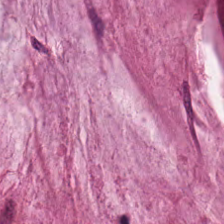FFPE. H&E-stained tissue section. Q: What is shown here?
A: The field shows mucin.
